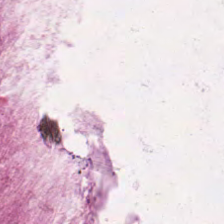Tissue = extracellular mucin.
